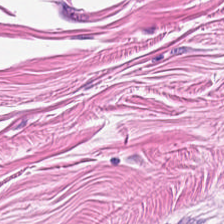Hematoxylin-and-eosin stained section · 0.5 µm/px.
Predominant tissue — smooth muscle.
